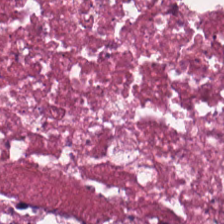Finding — necrotic debris.
